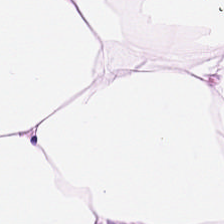Tissue type = adipose.
